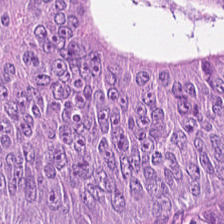H&E — adenocarcinoma.
